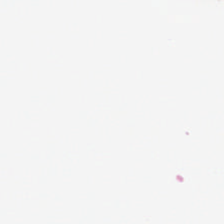Hematoxylin-and-eosin stained section · brightfield.
Background — no tissue in this field.
